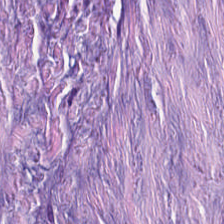Hematoxylin and eosin. Tissue class: cancer-associated stroma.
